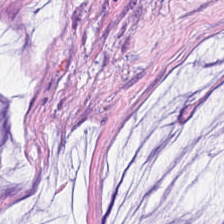H&E-stained tissue section. Whole-slide-image patch. The predominant tissue is mucin.
